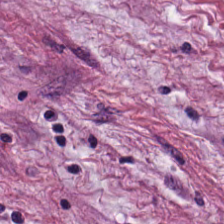0.5 µm/px · brightfield · H&E stain.
Tumor stroma.
